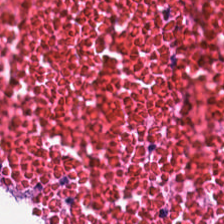H&E stain; WSI patch. {"tissue_type": "necrotic debris"}
